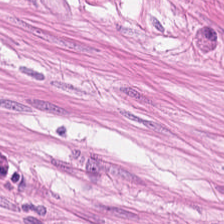Stain: H&E.
Acquisition: WSI patch.
Preparation: FFPE.
Classification: smooth-muscle tissue.
